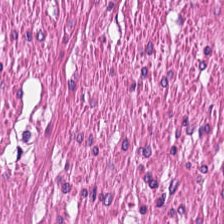Hematoxylin-and-eosin stained section · brightfield microscopy.
The tissue here is smooth muscle.
